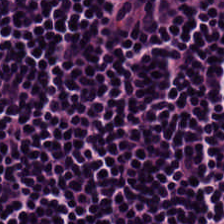Hematoxylin-and-eosin stained section.
This field is lymphoid infiltrate.
